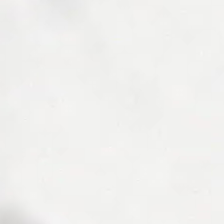Hematoxylin and eosin — No tissue present; background only.
